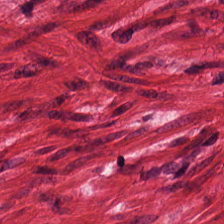{"tissue_type": "muscularis"}
